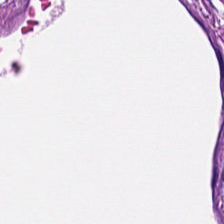H&E stain · FFPE tissue section · WSI patch.
Predominantly muscularis.
